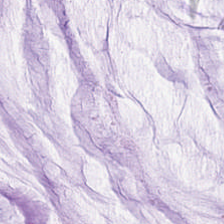224×224 px tile · H&E.
Q: What does this patch show?
A: This is mucus.
